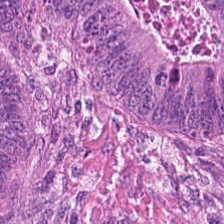Tissue class — malignant epithelium.
